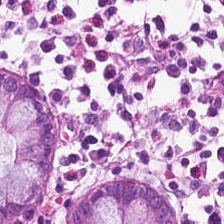Q: What type of tissue is this?
A: This is non-neoplastic colon mucosa.
